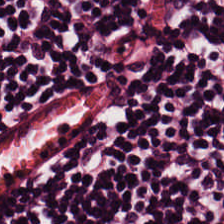Stain: H&E stain.
Tissue: lymphoid infiltrate.
